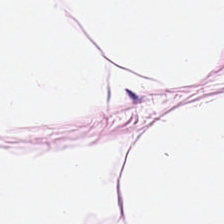Hematoxylin-and-eosin stained section — The tissue here is adipose.
